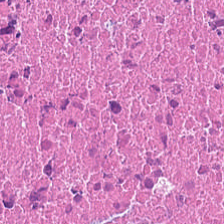Q: Classify this patch.
A: It is necrotic debris.
